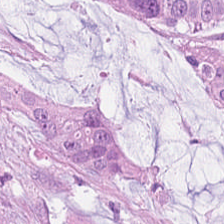H&E.
Predominantly malignant epithelium.
